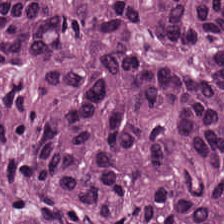Hematoxylin and eosin. 0.5 µm/px. This patch shows colorectal adenocarcinoma.
